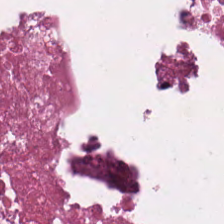0.5 µm/px. 224×224 px patch. H&E-stained tissue section. The tissue here is debris.
